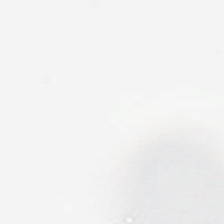H&E-stained tissue section — Content = no tissue.
